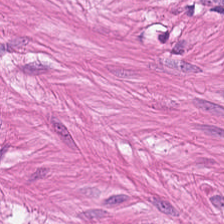{"tissue_type": "muscularis"}
